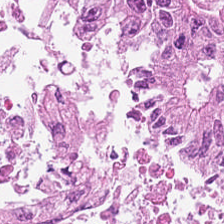Q: What type of tissue is this?
A: Malignant epithelium.
